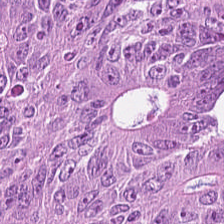H&E stain; FFPE. Showing tumor epithelium.
